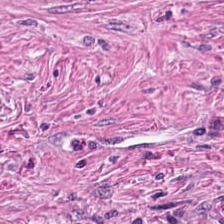H&E.
Q: What is the predominant tissue type?
A: Cancer-associated stroma.
